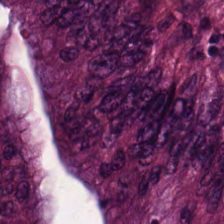WSI patch. H&E stain. FFPE tissue section — The tissue class is colorectal adenocarcinoma.
